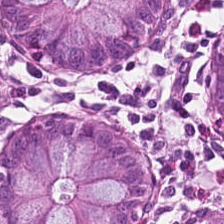H&E-stained tissue section · 0.5 microns per pixel · WSI patch — Classification — non-neoplastic colon mucosa.
